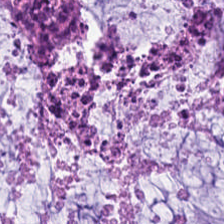Hematoxylin and eosin — The predominant tissue is extracellular mucin.
